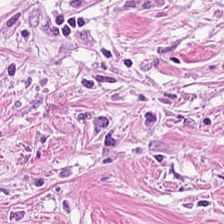Hematoxylin-and-eosin stained section. Predominantly tumor-associated stroma.
